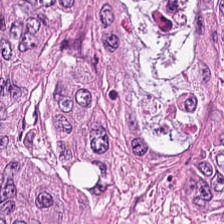H&E.
This field is colorectal adenocarcinoma epithelium.
